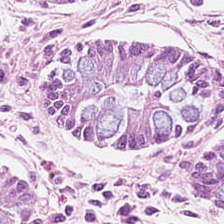0.5 µm/px. H&E-stained tissue section — Non-neoplastic colon mucosa.
